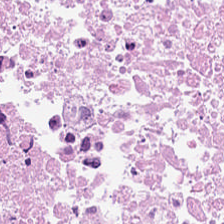FFPE. Hematoxylin and eosin.
The tissue here is cellular debris.
